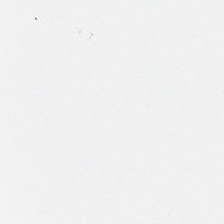Hematoxylin and eosin.
Empty field — background.
